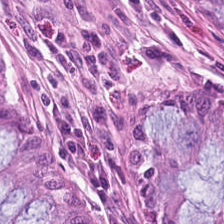Brightfield microscopy · H&E — Tissue: non-neoplastic colon mucosa.
